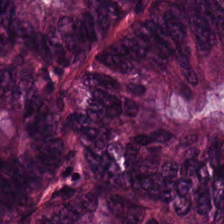H&E — Predominant tissue — colorectal adenocarcinoma.
